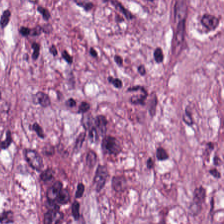Finding → tumor-associated stroma.
